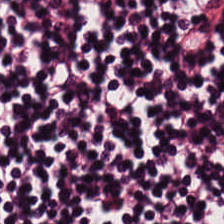Stain: hematoxylin and eosin.
Tissue class: lymphocytes.
